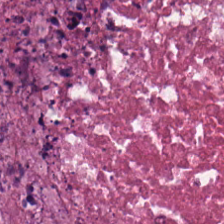Q: Identify the tissue.
A: Debris.
